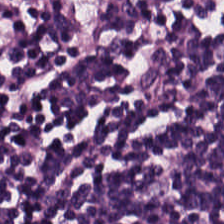H&E-stained tissue section.
The tissue here is lymphocytic infiltrate.
